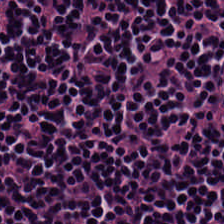H&E-stained tissue section. Tissue class = lymphoid infiltrate.
